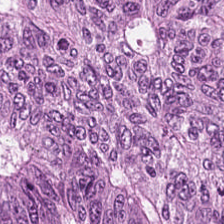Stain: hematoxylin-and-eosin stained section.
Acquisition: whole-slide-image patch.
Resolution: 20× equivalent magnification.
Tissue class: adenocarcinoma.
